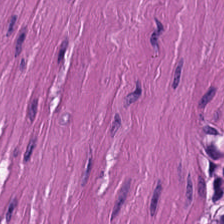This field is smooth-muscle tissue.
